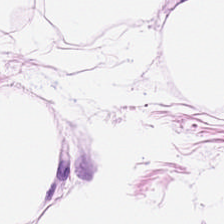The classification is fat tissue.
